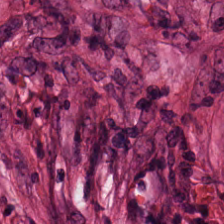Stain: hematoxylin-and-eosin stained section.
Preparation: FFPE tissue section.
Tissue class: tumor stroma.
